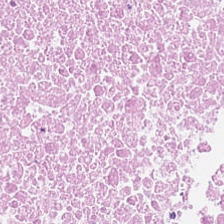H&E stain; WSI patch — Q: What does this patch show?
A: Cellular debris.
